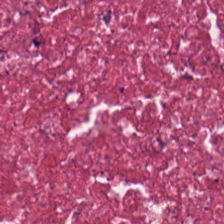H&E-stained tissue section · 224×224 px patch · FFPE.
Finding → desmoplastic stroma.
